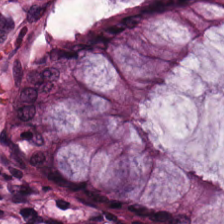Hematoxylin-and-eosin stained section — Non-neoplastic colon mucosa.
